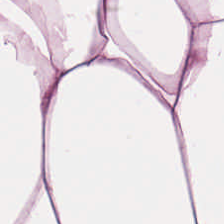Stain: hematoxylin and eosin.
Acquisition: WSI patch.
Classification: fat tissue.
